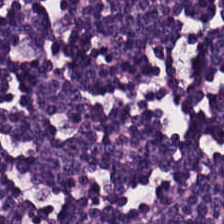Hematoxylin and eosin · 0.5 µm/px.
Impression → lymphocytic infiltrate.
